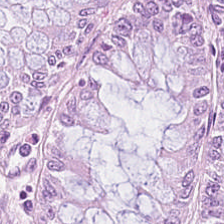H&E-stained tissue section. Q: What type of tissue is this?
A: It is non-neoplastic colon mucosa.
